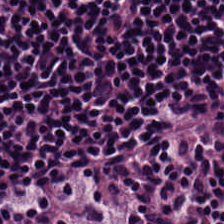Hematoxylin-and-eosin stained section — Q: What is shown in this field?
A: This is lymphocytes.
